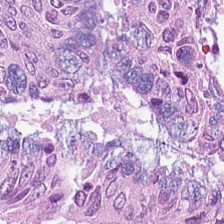This field is colorectal adenocarcinoma.
